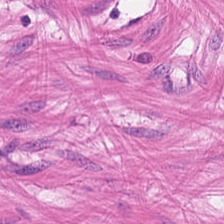Brightfield. H&E — Q: What tissue type is shown here?
A: Muscularis.
